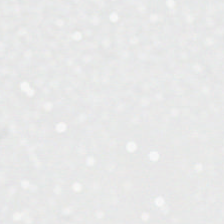Background — no tissue in this field.
